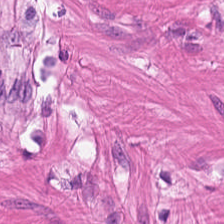Formalin-fixed paraffin-embedded section · H&E-stained tissue section · 0.5 microns per pixel — Q: What does this patch show?
A: The field shows smooth muscle.
